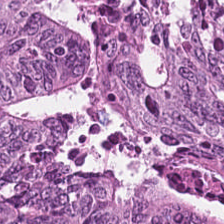224×224 px tile. Formalin-fixed paraffin-embedded section. Hematoxylin and eosin — Predominantly tumor epithelium.
